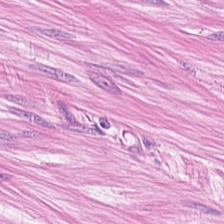H&E — smooth-muscle tissue.
